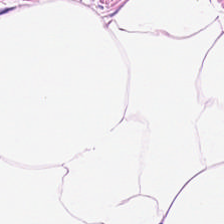H&E-stained tissue section. Predominantly adipose.
